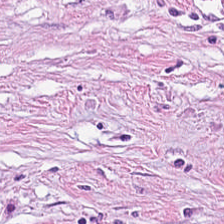The tissue is desmoplastic stroma.
